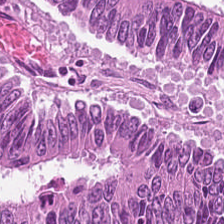224×224 pixel tile; H&E-stained tissue section. This patch shows adenocarcinoma.
